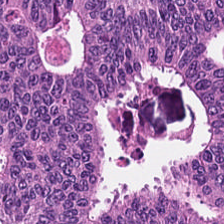Stain: hematoxylin-and-eosin stained section.
Tissue type: colorectal adenocarcinoma.
